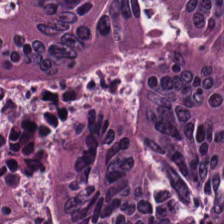Tissue type = colorectal adenocarcinoma epithelium.
